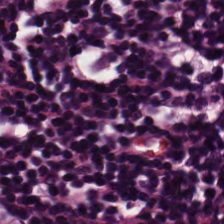Finding → lymphocytic infiltrate.
